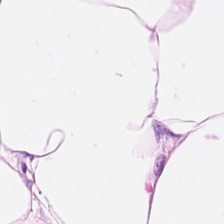H&E-stained tissue section · 0.5 microns per pixel — Q: What tissue is shown?
A: The field shows fat tissue.
